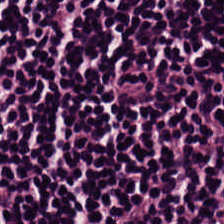Hematoxylin and eosin.
The predominant tissue is lymphoid infiltrate.
